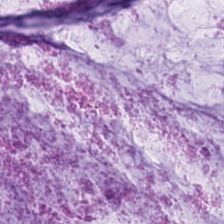Brightfield microscopy. H&E. 0.5 µm per pixel. Tissue — mucus.
